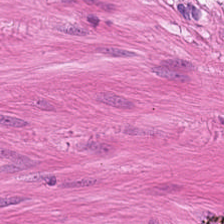0.5 µm per pixel · hematoxylin-and-eosin stained section — Classification: smooth muscle.
